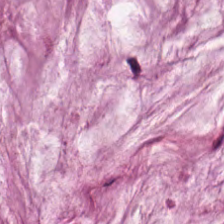H&E stain · formalin-fixed paraffin-embedded section.
Mucus.
